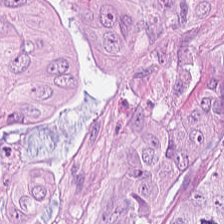H&E. 224×224 pixel tile. Classification = adenocarcinoma.
